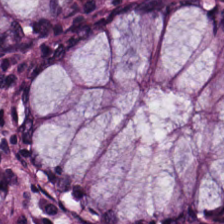0.5 µm/px. Hematoxylin-and-eosin stained section. Brightfield. This field is non-neoplastic colon mucosa.
